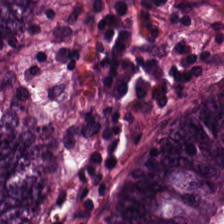Tissue class = malignant epithelium.
